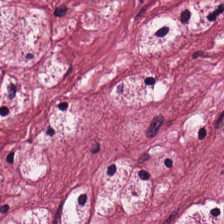224×224 px patch; hematoxylin-and-eosin stained section.
Histology — cancer-associated stroma.
